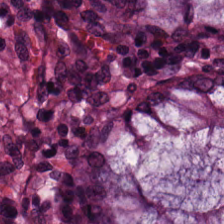Q: What does this patch show?
A: Benign colonic mucosa.
